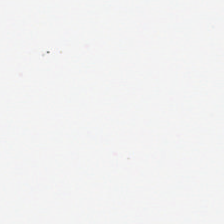Whole-slide-image patch; H&E stain. Q: What is shown here?
A: Background (no tissue).
